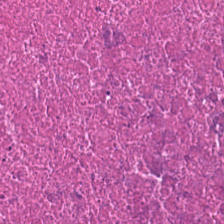224×224 pixel tile · hematoxylin and eosin. Predominantly necrotic debris.
